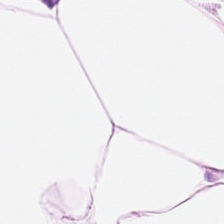Q: What is shown here?
A: The field shows adipose.
